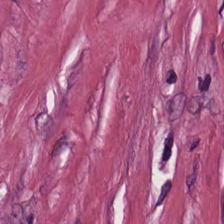H&E · 224×224 px patch.
This field is desmoplastic stroma.
